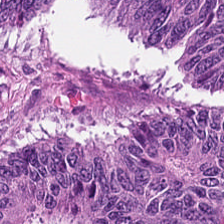Q: What is shown here?
A: The field shows adenocarcinoma.
